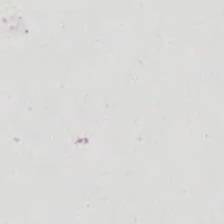H&E. Field content — background.
